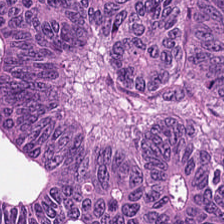Hematoxylin-and-eosin stained section. The classification is tumor epithelium.
